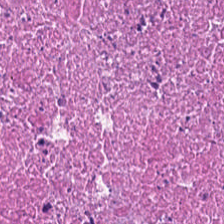Hematoxylin-and-eosin stained section; formalin-fixed paraffin-embedded section.
Classification = necrotic debris.
